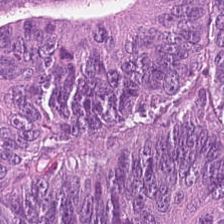224×224 px tile; H&E. Impression — malignant epithelium.
